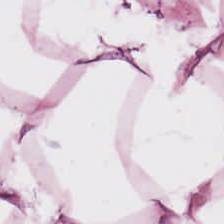Hematoxylin and eosin. Whole-slide-image patch. 224×224 px patch — Predominant tissue: adipose tissue.
